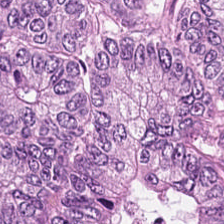Stain: hematoxylin-and-eosin stained section.
Classification: colorectal adenocarcinoma epithelium.
